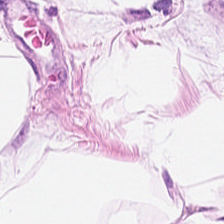Hematoxylin-and-eosin stained section. Tissue class = adipocytes.
